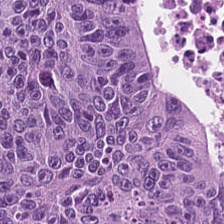Stain: hematoxylin-and-eosin stained section.
Resolution: 0.5 µm/px.
Tile size: 224×224 px patch.
Classification: adenocarcinoma.
